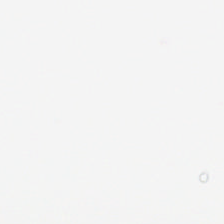Hematoxylin and eosin. Content: no tissue.
